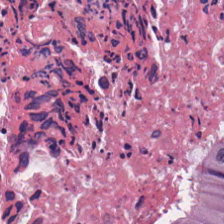Hematoxylin and eosin — The predominant tissue is cellular debris.
